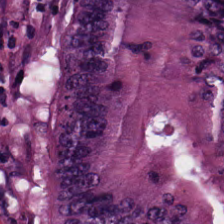FFPE; H&E — Tissue type = tumor epithelium.
